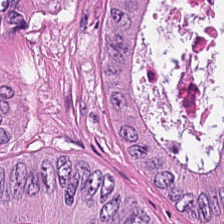224×224 pixel tile; 0.5 µm/px; H&E-stained tissue section.
The classification is colorectal adenocarcinoma.
